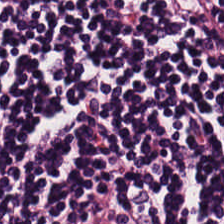Lymphocytic infiltrate.
